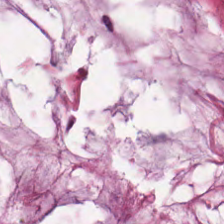H&E · 0.5 µm/px — Finding — mucin.
